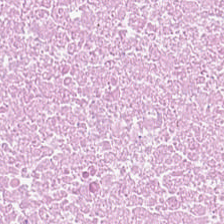Predominantly cellular debris.
